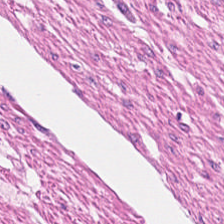H&E-stained tissue section — Predominantly smooth muscle.
